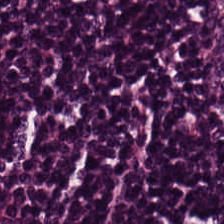Hematoxylin and eosin.
Q: What tissue is shown?
A: It is lymphocyte aggregate.
